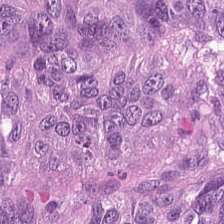H&E patch showing colorectal adenocarcinoma epithelium.
